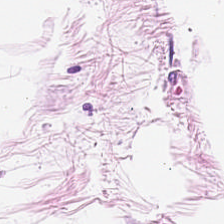H&E stain. 224×224 px patch.
This patch shows fat tissue.
